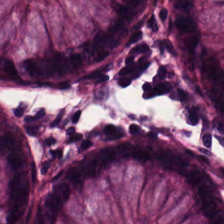Hematoxylin and eosin. FFPE tissue section. 0.5 microns per pixel.
Non-neoplastic colon mucosa.
